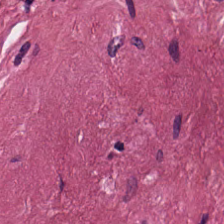H&E — tumor-associated stroma.
